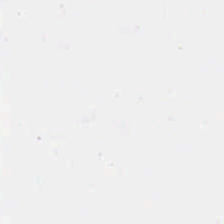Background — no tissue in this field.
